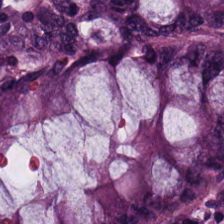Stain: H&E-stained tissue section.
Predominant tissue: non-neoplastic colon mucosa.
